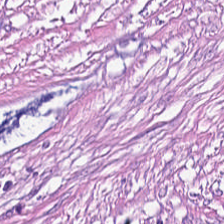224×224 px patch. Hematoxylin-and-eosin stained section. Predominantly cancer-associated stroma.
